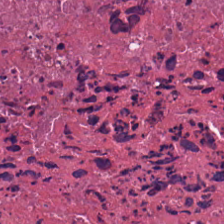H&E stain — Showing cellular debris.
